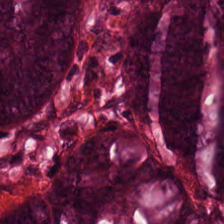Stain: hematoxylin-and-eosin stained section.
Tissue class: colorectal adenocarcinoma epithelium.
